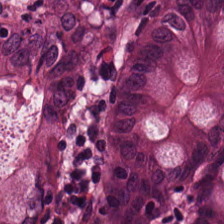Hematoxylin and eosin.
Predominant tissue = non-neoplastic colon mucosa.
